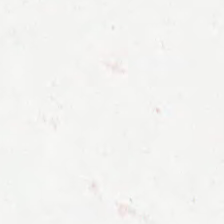H&E stain. 0.5 µm per pixel. Formalin-fixed paraffin-embedded section. This field is background (no tissue).
